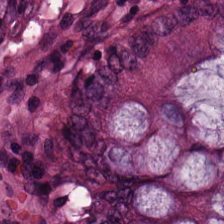Stain: H&E-stained tissue section.
Predominant tissue: normal colon mucosa.
